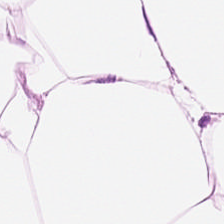Hematoxylin-and-eosin stained section. Showing fat tissue.
